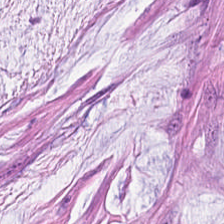224×224 px patch · 0.5 µm/px · hematoxylin and eosin.
Showing mucus.
